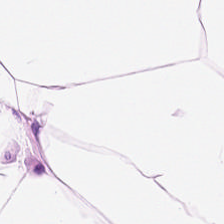FFPE tissue section · 0.5 microns per pixel · hematoxylin-and-eosin stained section — Q: What does this patch show?
A: It is adipocytes.
